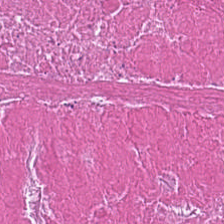Histology — cellular debris.
